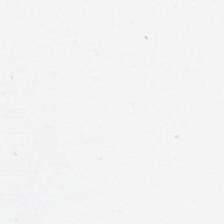This field is background (no tissue).
